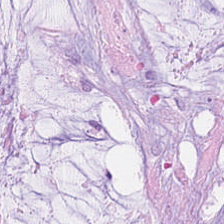Q: What does this patch show?
A: Mucin.
